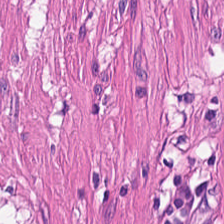H&E stain · 224×224 pixel tile.
Predominantly muscularis.
